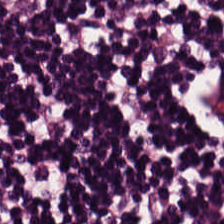FFPE; 224×224 px patch; H&E stain.
Histology → lymphoid infiltrate.
